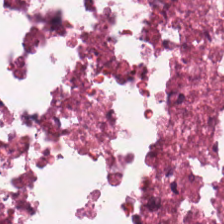H&E. 224×224 pixel tile. FFPE — Q: Classify this patch.
A: The field shows necrotic debris.
